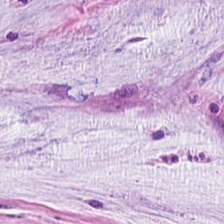Hematoxylin and eosin · FFPE · 20× equivalent magnification — Q: What type of tissue is this?
A: The field shows mucin.
